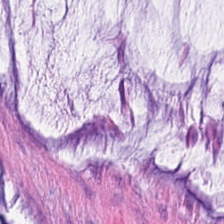H&E stain; 224×224 pixel tile; 0.5 microns per pixel. Predominant tissue: mucin.
